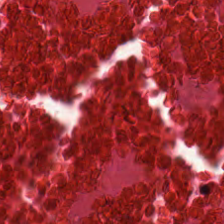Hematoxylin-and-eosin stained section. Tissue type = cellular debris.
